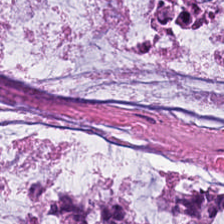224×224 px patch. WSI patch. H&E-stained tissue section. Mucus.
